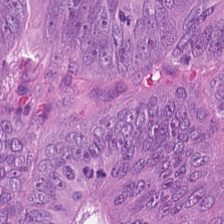Stain: H&E.
Classification: malignant epithelium.
